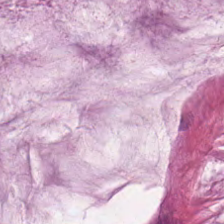Q: Classify this patch.
A: The field shows extracellular mucin.
